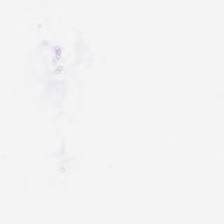H&E-stained tissue section.
Background.
